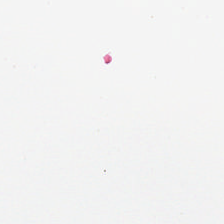H&E-stained tissue section; 0.5 µm per pixel — Q: What does this patch show?
A: It is background.
